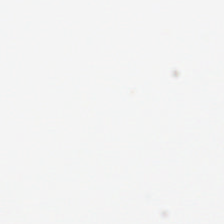Q: What is shown in this field?
A: Background (no tissue).
